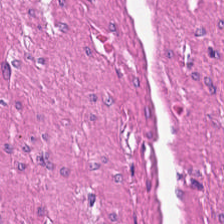0.5 µm/px. Hematoxylin-and-eosin stained section. Predominant tissue: smooth muscle.
